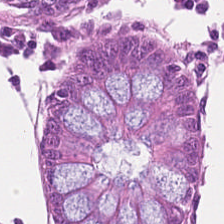Stain: H&E stain.
Tissue class: normal colonic mucosa.
